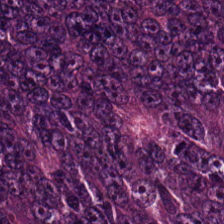Finding → colorectal adenocarcinoma epithelium.
